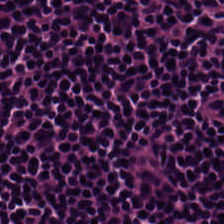Q: What does this patch show?
A: This is lymphocytic infiltrate.
